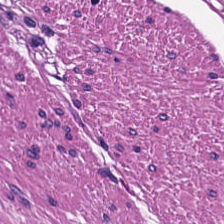H&E stain. Formalin-fixed paraffin-embedded section. 0.5 microns per pixel. This field is smooth muscle.
